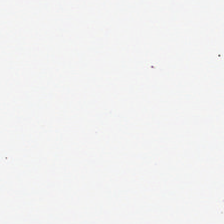Hematoxylin-and-eosin stained section · 0.5 µm/px · 224×224 px tile.
Q: What is shown in this field?
A: Empty background.
